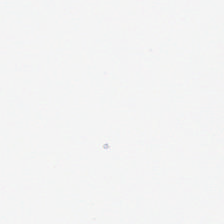H&E-stained tissue section.
Impression → background.
